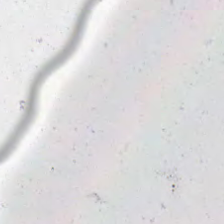H&E — No tissue present; background only.
